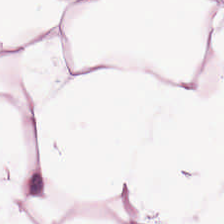Stain: hematoxylin and eosin.
Classification: adipocytes.
